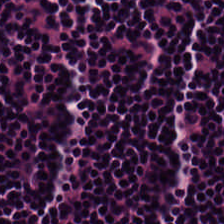Hematoxylin and eosin · WSI patch.
Showing lymphocytes.
